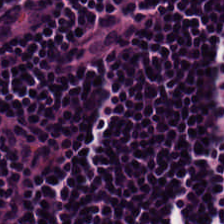H&E-stained tissue section. The predominant tissue is lymphocytes.
